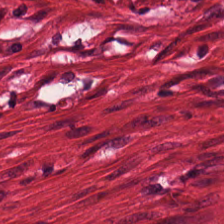Hematoxylin-and-eosin stained section. Predominantly muscularis.
